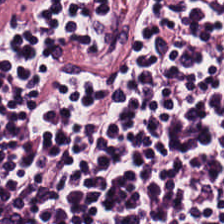Hematoxylin-and-eosin stained section — Tissue type — lymphoid infiltrate.
